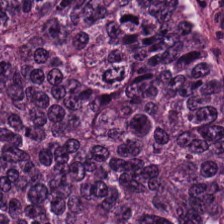Hematoxylin and eosin. Tissue type = colorectal adenocarcinoma.
